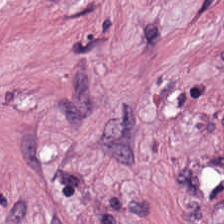Tissue class: tumor stroma.
